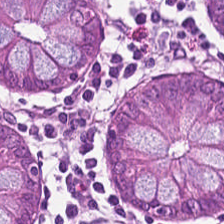Hematoxylin and eosin.
Showing normal colon mucosa.
